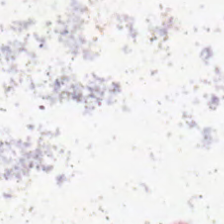Hematoxylin and eosin.
Field content: empty background.
